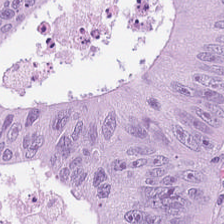Formalin-fixed paraffin-embedded section · whole-slide-image patch · H&E. Q: What tissue is shown?
A: This is adenocarcinoma.
